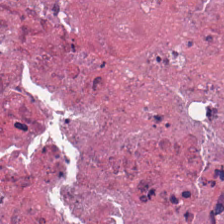0.5 µm per pixel · FFPE · hematoxylin-and-eosin stained section. Classification = necrotic debris.
